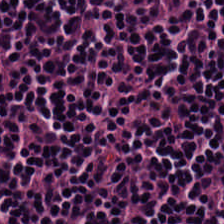224×224 pixel tile. H&E. Predominant tissue = lymphocyte aggregate.
